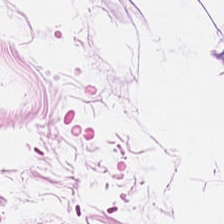FFPE · brightfield microscopy · hematoxylin-and-eosin stained section.
The predominant tissue is adipocytes.
